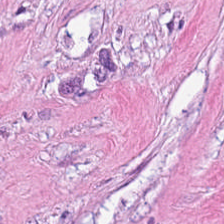H&E — tumor-associated stroma.
